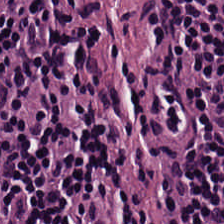Hematoxylin and eosin.
The tissue type is lymphoid infiltrate.
